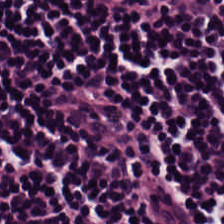224×224 px tile. H&E stain. Classification — lymphocytic infiltrate.
